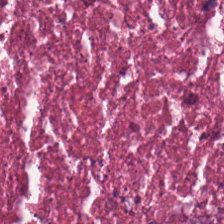Brightfield microscopy; H&E.
Showing necrotic debris.
